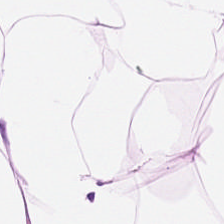H&E-stained tissue section · brightfield · formalin-fixed paraffin-embedded section — The predominant tissue is adipose.
